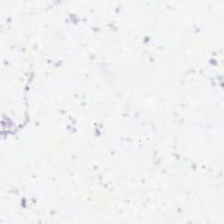H&E-stained tissue section. FFPE — Classification: empty background.
